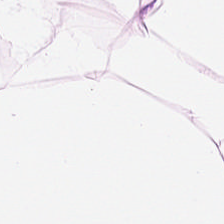H&E stain — Finding → fat tissue.
